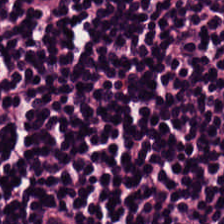H&E · 224×224 pixel tile — Q: Identify the tissue.
A: The field shows lymphocytes.
